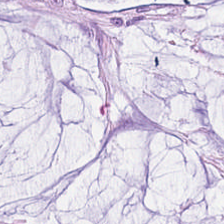224×224 px tile. H&E.
The tissue here is mucin.
